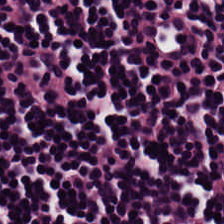H&E.
Q: Identify the tissue.
A: The field shows lymphoid infiltrate.
